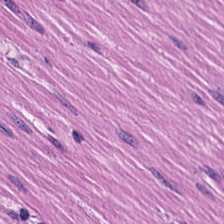Tissue: muscularis.
